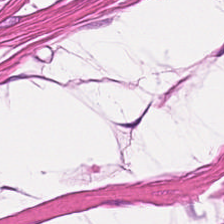H&E stain. Whole-slide-image patch. FFPE. {"tissue_type": "smooth-muscle tissue"}
